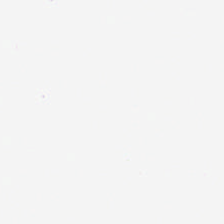Background.
